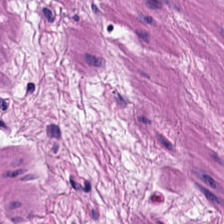H&E.
The tissue class is smooth muscle.
